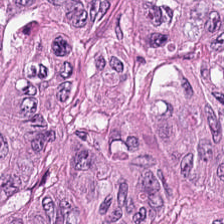H&E-stained tissue section. Colorectal adenocarcinoma epithelium.
